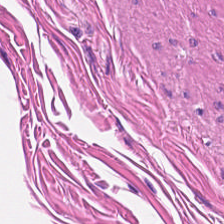The classification is smooth-muscle tissue.
